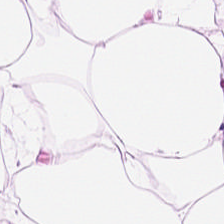This field is adipose tissue.
